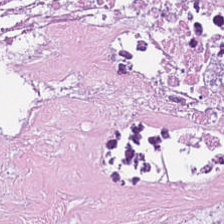Stain: H&E stain.
Predominant tissue: necrotic debris.
